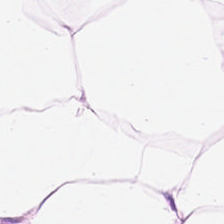224×224 pixel tile. Hematoxylin-and-eosin stained section. Q: What tissue type is shown here?
A: The field shows adipose tissue.
